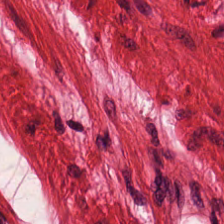FFPE tissue section. Whole-slide-image patch. H&E. Showing muscularis.
